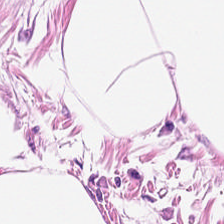Hematoxylin-and-eosin stained section.
Q: What is shown in this field?
A: Adipocytes.
